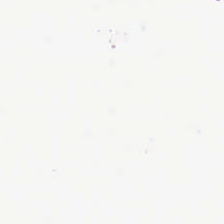Histology → empty background.
